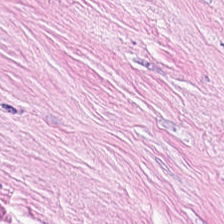Formalin-fixed paraffin-embedded section. H&E — Q: What type of tissue is this?
A: The field shows tumor-associated stroma.
